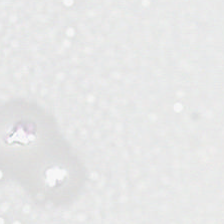Hematoxylin and eosin.
Q: What is shown here?
A: It is background (no tissue).
